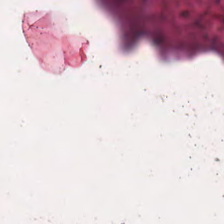Stain: H&E.
Tissue class: cellular debris.
